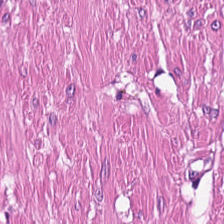Brightfield · formalin-fixed paraffin-embedded section · hematoxylin-and-eosin stained section.
This field is smooth-muscle tissue.
